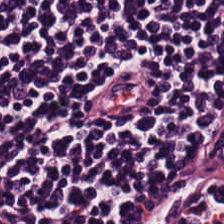FFPE; H&E-stained tissue section.
This field is lymphocytic infiltrate.
